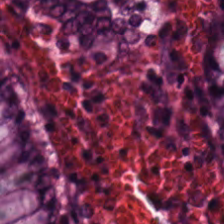Hematoxylin-and-eosin stained section.
This field is normal colonic mucosa.
